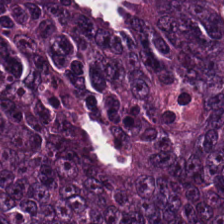H&E-stained tissue section — Tissue class = malignant epithelium.
